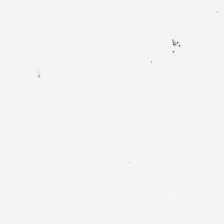The classification is empty background.
